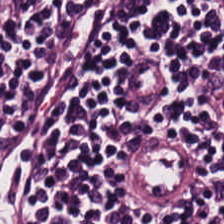Hematoxylin and eosin — The tissue here is lymphoid infiltrate.
